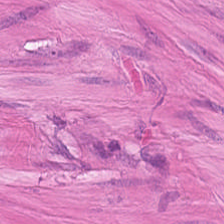Hematoxylin and eosin — {"tissue_type": "smooth-muscle tissue"}
